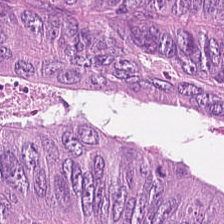FFPE tissue section; 0.5 microns per pixel; H&E-stained tissue section.
The tissue is adenocarcinoma.
